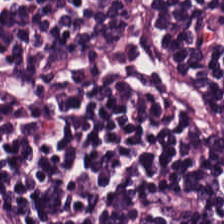{"tissue_type": "lymphocyte aggregate"}
